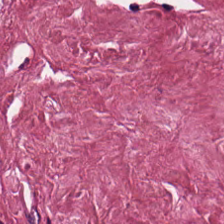224×224 px tile · H&E stain. Classification = tumor-associated stroma.
